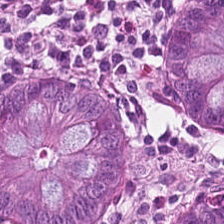H&E-stained tissue section · WSI patch — Classification — non-neoplastic colon mucosa.
